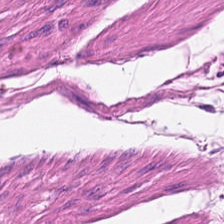Stain: H&E-stained tissue section.
Tissue: smooth muscle.
